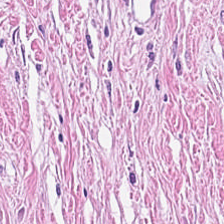Whole-slide-image patch. H&E stain. 224×224 pixel tile. Finding — cancer-associated stroma.
